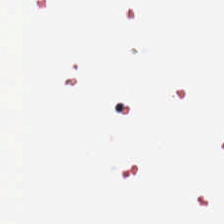H&E-stained tissue section. Formalin-fixed paraffin-embedded section. 224×224 px tile — This field is background (no tissue).
